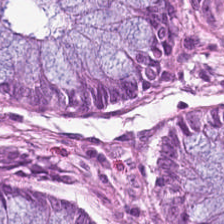0.5 µm/px. Hematoxylin and eosin — Finding — normal colonic mucosa.
